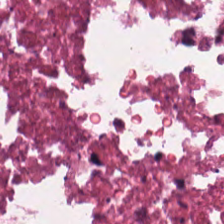Stain: H&E stain.
Tissue type: debris.
